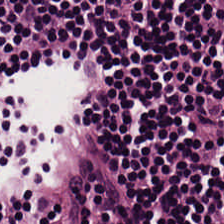FFPE. Brightfield microscopy. H&E stain — Tissue = lymphocyte aggregate.
